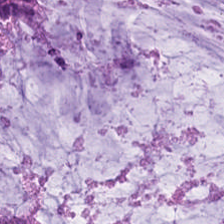H&E-stained tissue section.
Tissue type — extracellular mucin.
